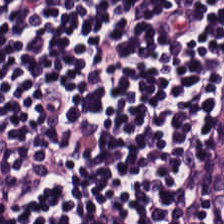Hematoxylin-and-eosin stained section.
Q: What is shown here?
A: This is lymphocyte aggregate.
